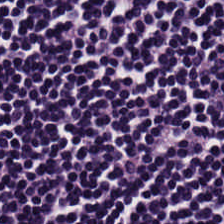Stain: H&E-stained tissue section.
Acquisition: brightfield.
Classification: lymphocytes.
